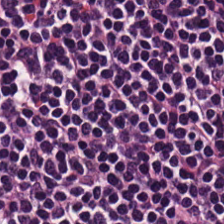H&E.
Showing lymphocytes.
